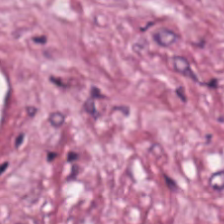Stain: H&E stain.
Preparation: FFPE tissue section.
Resolution: 0.5 µm per pixel.
Tissue class: tumor stroma.
